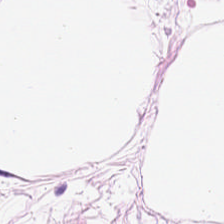Hematoxylin and eosin.
Q: What does this patch show?
A: Adipocytes.
